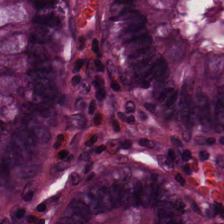H&E stain; 0.5 µm per pixel; 224×224 px tile — The predominant tissue is normal colon mucosa.
